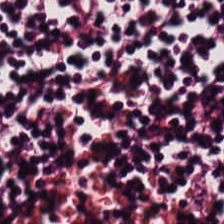H&E.
Tissue class: lymphocyte aggregate.
